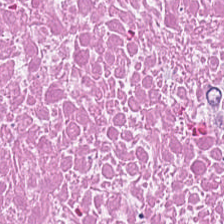0.5 microns per pixel; H&E stain. The tissue type is cellular debris.
